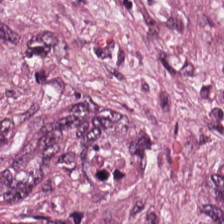Predominant tissue: adenocarcinoma.
